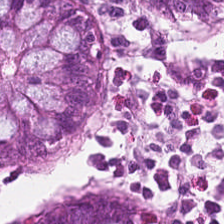Hematoxylin-and-eosin stained section · 224×224 px patch — Tissue = normal colonic mucosa.
